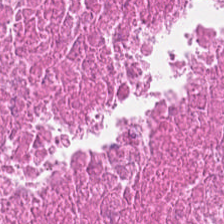Hematoxylin and eosin — The predominant tissue is cellular debris.
